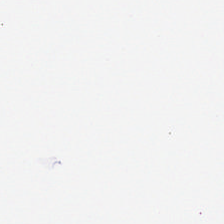Brightfield; hematoxylin and eosin.
The field content is no tissue.
